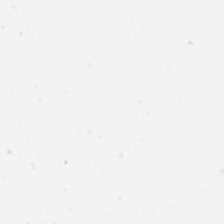The content is background (no tissue).
